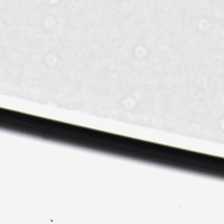Hematoxylin and eosin — Classification: background.
